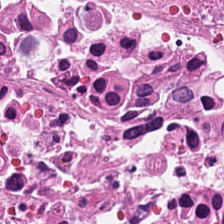Brightfield. H&E. Q: What tissue is shown?
A: It is necrotic debris.
